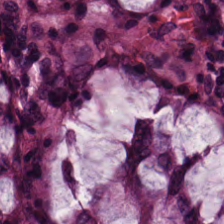Tissue = normal colon mucosa.
